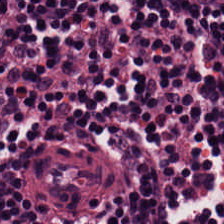Hematoxylin-and-eosin stained section. 0.5 µm/px. Classification = lymphocyte aggregate.
